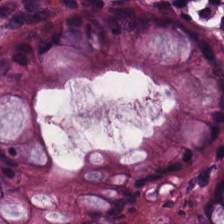H&E.
Predominantly benign colonic mucosa.
